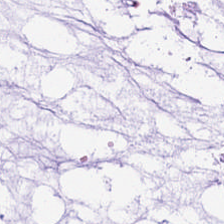{"tissue_type": "mucin"}
